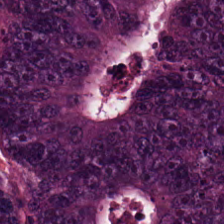Hematoxylin-and-eosin stained section.
The tissue class is malignant epithelium.
